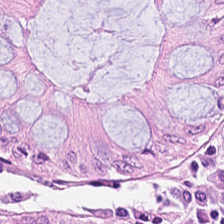Hematoxylin and eosin · 224×224 px tile · 0.5 µm/px — Q: What is shown in this field?
A: Normal colonic mucosa.
